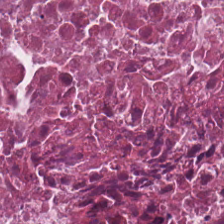Hematoxylin-and-eosin stained section. Showing necrotic debris.
